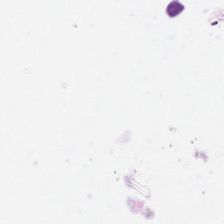0.5 µm/px · whole-slide-image patch · hematoxylin and eosin.
Classification: background (no tissue).
